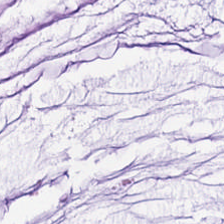This patch shows mucin.
